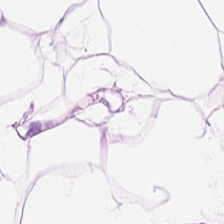224×224 px tile; 20× equivalent magnification; hematoxylin-and-eosin stained section. This patch shows adipose.
